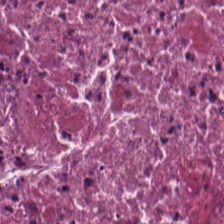The tissue type is cellular debris.
